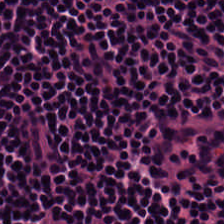Q: What tissue type is shown here?
A: Lymphocytic infiltrate.
